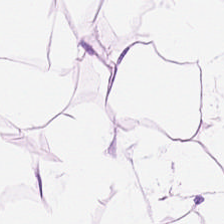Hematoxylin-and-eosin stained section. Q: What type of tissue is this?
A: It is fat tissue.
